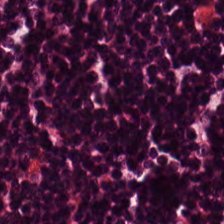Hematoxylin and eosin — Q: What is shown in this field?
A: The field shows lymphocytes.
